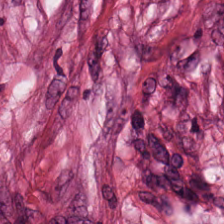H&E stain.
The tissue type is cancer-associated stroma.
